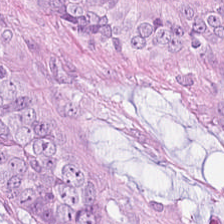Whole-slide-image patch; 224×224 px patch; H&E. Q: What does this patch show?
A: This is adenocarcinoma.
